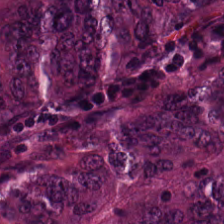Hematoxylin and eosin — This field is tumor epithelium.
